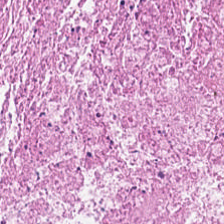Q: What is shown in this field?
A: It is necrotic debris.
